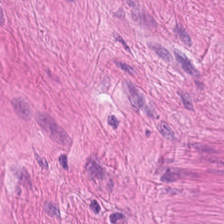H&E. Q: What tissue is shown?
A: This is muscularis.
